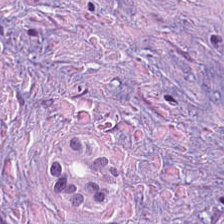Stain: hematoxylin-and-eosin stained section.
Tile size: 224×224 px tile.
Preparation: FFPE tissue section.
Tissue type: tumor stroma.
